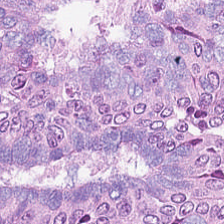Tumor epithelium.
